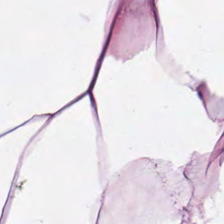{"tissue_type": "adipose"}
